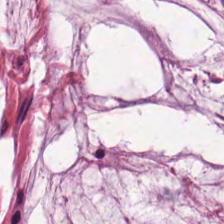H&E-stained tissue section · 0.5 microns per pixel. Mucus.
